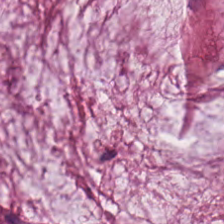Classification — mucin.
